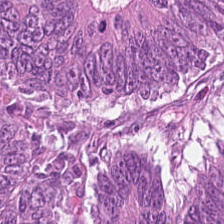FFPE tissue section. H&E stain. This field is malignant epithelium.
